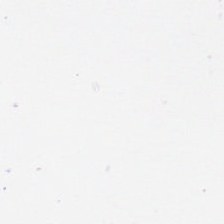224×224 px tile · hematoxylin-and-eosin stained section — Field content: empty background.
